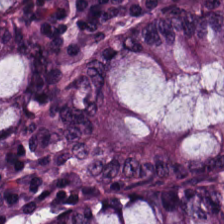H&E-stained tissue section showing normal colon mucosa.
